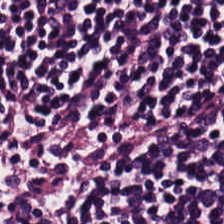Hematoxylin-and-eosin stained section — Predominant tissue — lymphocytic infiltrate.
